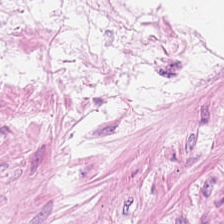Hematoxylin-and-eosin stained section. {"tissue_type": "smooth-muscle tissue"}
